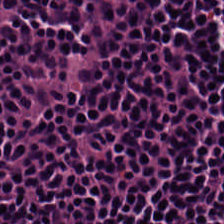Hematoxylin and eosin; 224×224 px tile.
Tissue type — lymphocyte aggregate.
